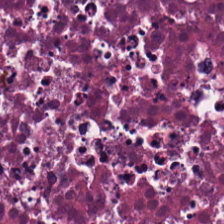Predominantly debris.
